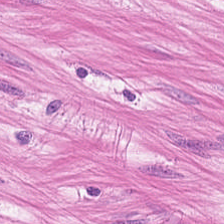H&E — Impression — smooth-muscle tissue.
